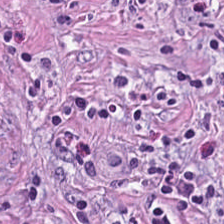Stain: H&E stain.
Tissue class: desmoplastic stroma.
